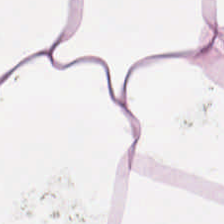H&E.
Tissue class = fat tissue.
